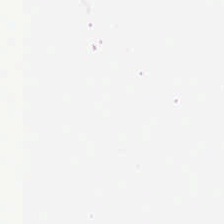Hematoxylin-and-eosin stained section · 224×224 pixel tile · FFPE — This patch shows no tissue.
